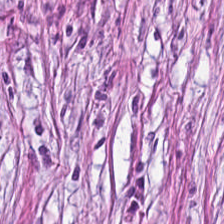Stain: H&E-stained tissue section.
Tissue class: cancer-associated stroma.
